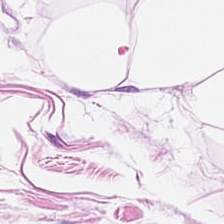Classification — adipocytes.
